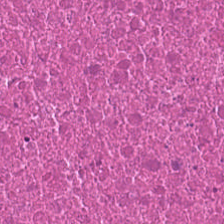H&E-stained tissue section. 20× equivalent magnification. FFPE tissue section.
{"tissue_type": "debris"}
